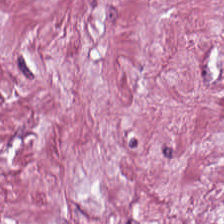Hematoxylin and eosin. Q: What is shown in this field?
A: The field shows tumor-associated stroma.
